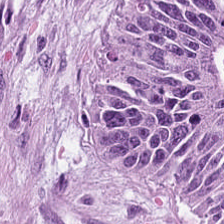H&E. Tumor epithelium.
